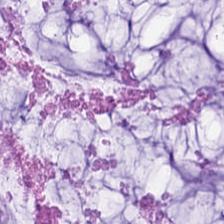Hematoxylin and eosin. Finding — mucus.
